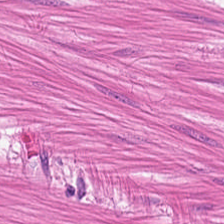Stain: H&E-stained tissue section.
Tissue class: smooth-muscle tissue.
